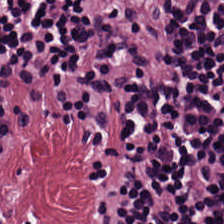H&E stain. Tissue class = lymphocyte aggregate.
